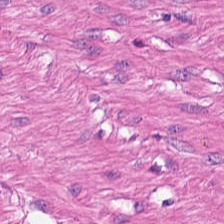Whole-slide-image patch. H&E stain. 0.5 µm/px. The tissue here is muscularis.
